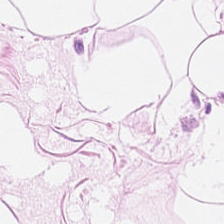224×224 px patch; H&E stain. Showing adipose tissue.
